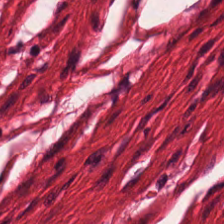This patch shows smooth-muscle tissue.
